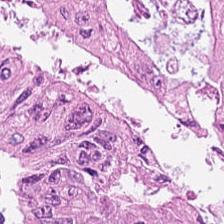H&E-stained tissue section. FFPE tissue section. The tissue is tumor epithelium.
